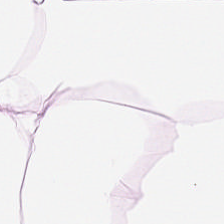20× equivalent magnification. H&E-stained tissue section.
Tissue type = adipose tissue.
